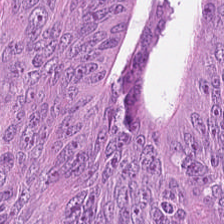Hematoxylin and eosin — The predominant tissue is colorectal adenocarcinoma.
